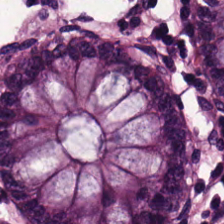Hematoxylin-and-eosin stained section. {"tissue_type": "normal colonic mucosa"}
